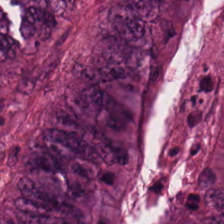Hematoxylin and eosin. {"tissue_type": "mucin"}
